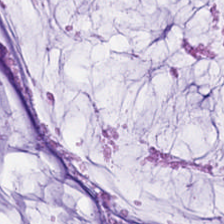Hematoxylin-and-eosin stained section.
{"tissue_type": "extracellular mucin"}
